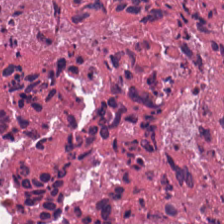H&E — Tissue type: necrotic debris.
